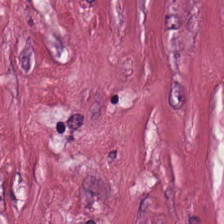H&E · 224×224 px tile · FFPE tissue section.
Showing cancer-associated stroma.
